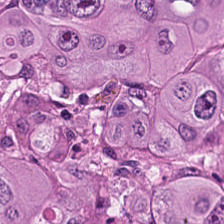The tissue is colorectal adenocarcinoma.
